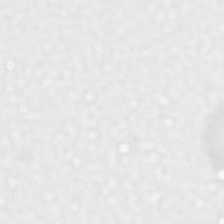H&E — {"content": "no tissue"}
